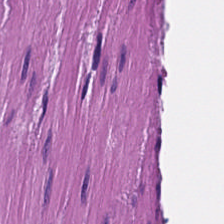224×224 pixel tile. Brightfield. H&E stain. Tissue class: smooth-muscle tissue.
